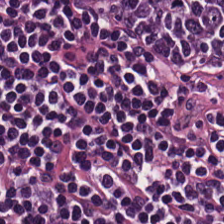Impression — lymphocytes.
